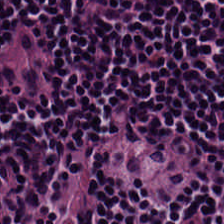Q: What tissue type is shown here?
A: The field shows lymphoid infiltrate.
